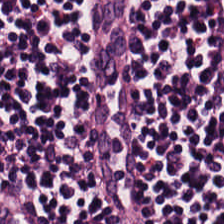Stain: H&E.
Resolution: 0.5 microns per pixel.
Tissue type: lymphocyte aggregate.
